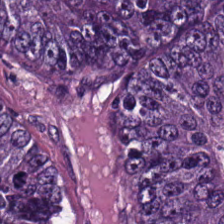Formalin-fixed paraffin-embedded section; 224×224 pixel tile; hematoxylin-and-eosin stained section. Tissue class — malignant epithelium.
